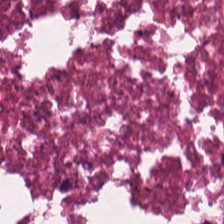Tissue type = debris.
